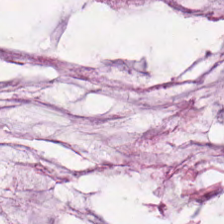H&E stain. FFPE tissue section — Tissue type = mucus.
